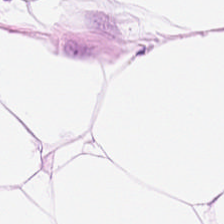H&E.
Showing adipose.
